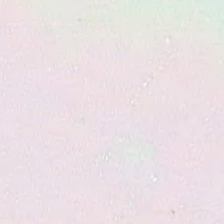Histology → background.
